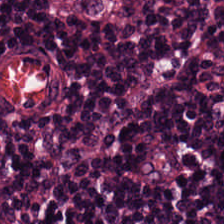Hematoxylin-and-eosin stained section. The tissue here is lymphocytes.
